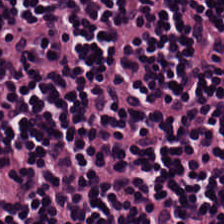FFPE. Hematoxylin-and-eosin stained section. Q: What is shown here?
A: This is lymphoid infiltrate.
